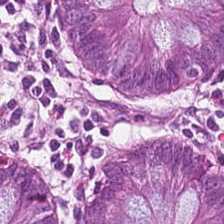H&E stain; 224×224 px tile.
Q: What tissue type is shown here?
A: Normal colon mucosa.
